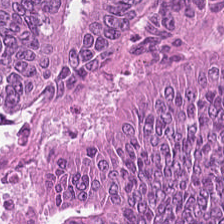Hematoxylin-and-eosin stained section — This patch shows adenocarcinoma.
